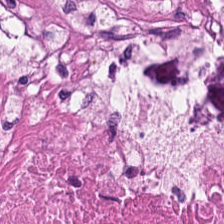Hematoxylin and eosin. 20× equivalent magnification. The tissue class is debris.
